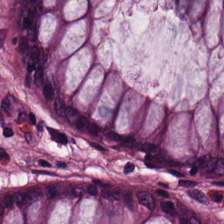Stain: H&E.
Predominant tissue: benign colonic mucosa.
